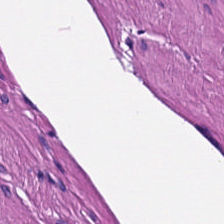{"tissue_type": "muscularis"}
